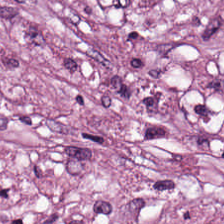H&E stain — Classification: tumor stroma.
